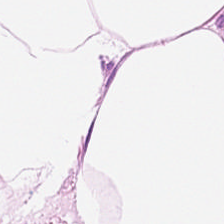H&E-stained tissue section.
Q: What type of tissue is this?
A: The field shows adipose.
